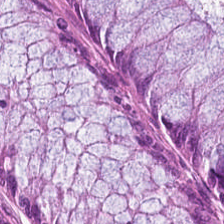Stain: hematoxylin-and-eosin stained section.
Resolution: 0.5 µm per pixel.
Tissue: normal colon mucosa.
